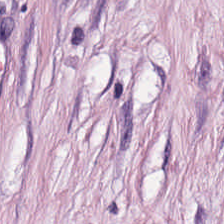H&E. {"tissue_type": "tumor-associated stroma"}
